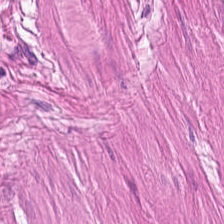224×224 px patch. Hematoxylin and eosin. Tissue class: muscularis.
